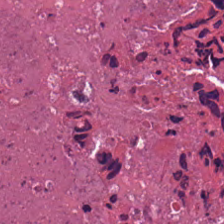Predominantly cellular debris.
